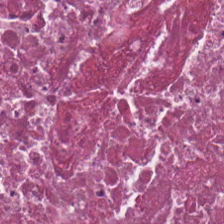Hematoxylin and eosin. Predominantly debris.
